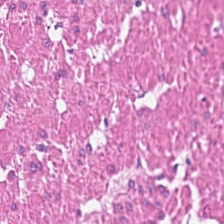Stain: hematoxylin-and-eosin stained section.
Classification: muscularis.
